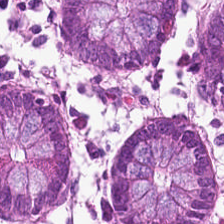Hematoxylin-and-eosin stained section — Normal colonic mucosa.
